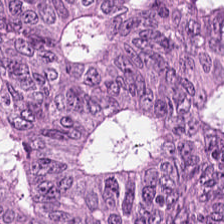Stain: H&E.
Tissue class: tumor epithelium.
